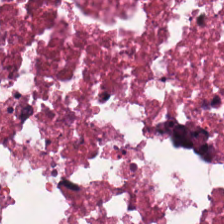The tissue here is necrotic debris.
